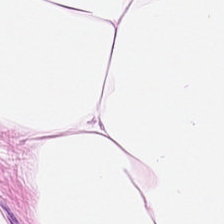H&E-stained tissue section. Tissue class — fat tissue.
